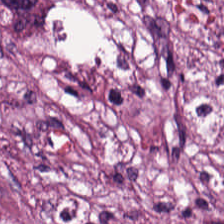Classification: cancer-associated stroma.
